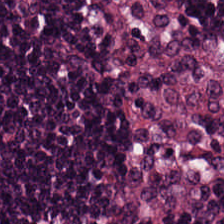H&E stain.
Q: What is shown in this field?
A: The field shows lymphoid infiltrate.
